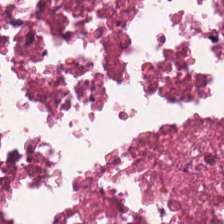H&E — {"tissue_type": "necrotic debris"}
